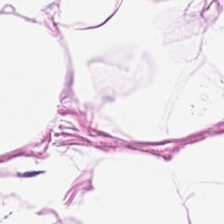H&E-stained tissue section. This patch shows adipose tissue.
